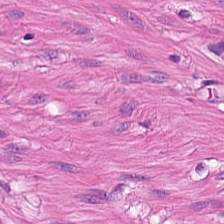H&E-stained tissue section — Smooth-muscle tissue.
